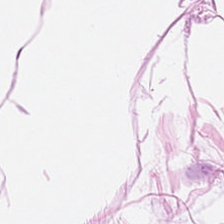H&E · 20× equivalent magnification — Q: What is the predominant tissue type?
A: This is fat tissue.
